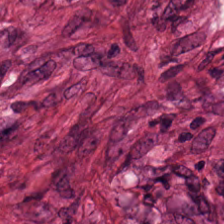Stain: hematoxylin and eosin.
Tissue class: tumor-associated stroma.
